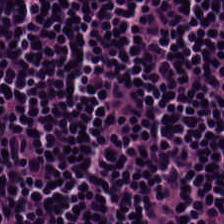Stain: H&E-stained tissue section.
Acquisition: WSI patch.
Classification: lymphocytic infiltrate.
